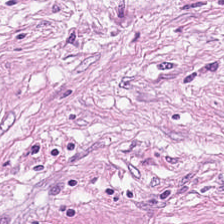FFPE tissue section; 224×224 pixel tile; hematoxylin and eosin. The tissue type is cancer-associated stroma.
